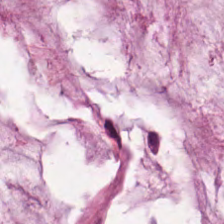H&E — Tissue — mucus.
